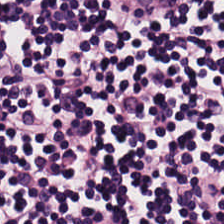H&E stain. Q: What does this patch show?
A: Lymphocytes.
